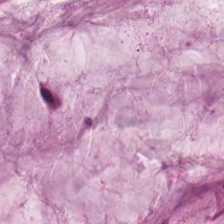Impression → mucus.
